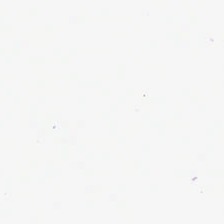Stain: hematoxylin-and-eosin stained section.
Classification: background.
